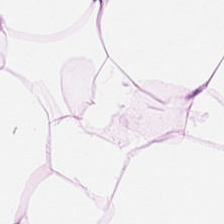Hematoxylin-and-eosin stained section — This patch shows fat tissue.
